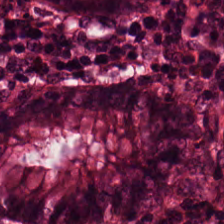Histology — benign colonic mucosa.
